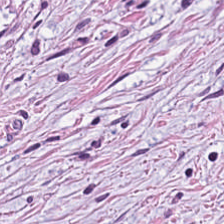{"tissue_type": "cancer-associated stroma"}
